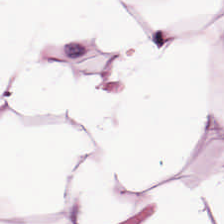Hematoxylin and eosin.
The predominant tissue is fat tissue.
